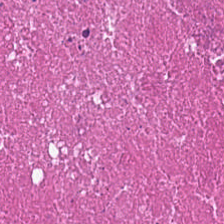Stain: H&E.
Preparation: formalin-fixed paraffin-embedded section.
Tissue class: necrotic debris.
